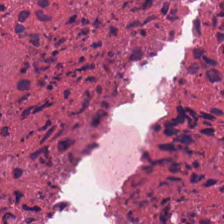Q: What tissue is shown?
A: The field shows necrotic debris.
